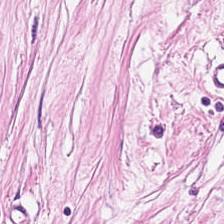Classification: cancer-associated stroma.
